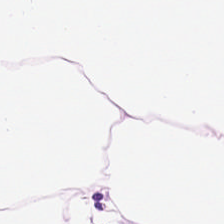H&E. Histology — adipocytes.
